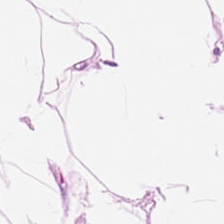H&E stain. Histology — adipose tissue.
